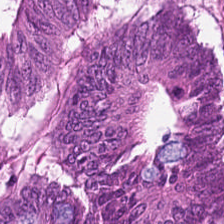WSI patch; H&E-stained tissue section — Predominantly tumor epithelium.
